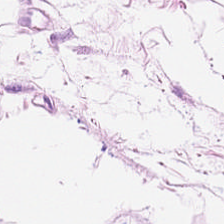H&E-stained tissue section. FFPE tissue section. Impression — adipose.
